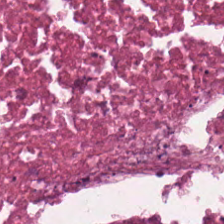Hematoxylin-and-eosin stained section. 0.5 microns per pixel. Q: What is shown here?
A: The field shows debris.
